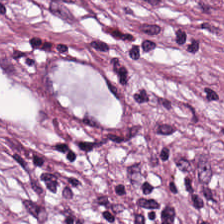224×224 px patch · FFPE tissue section · hematoxylin and eosin — Tissue = desmoplastic stroma.
